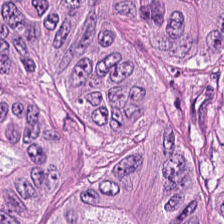Stain: hematoxylin-and-eosin stained section.
Classification: malignant epithelium.
